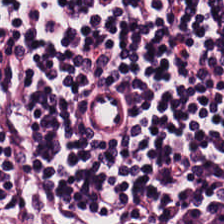Hematoxylin and eosin.
Showing lymphocyte aggregate.
